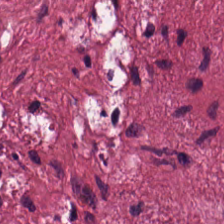H&E · 20× equivalent magnification.
The predominant tissue is desmoplastic stroma.
